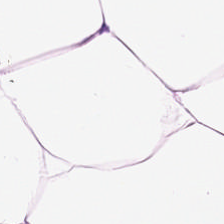H&E — The predominant tissue is adipocytes.
